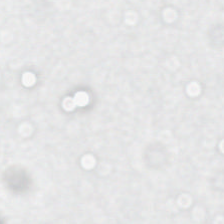Empty field — background (no tissue).
